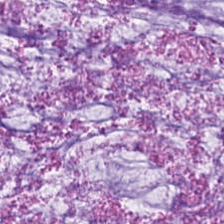Hematoxylin-and-eosin stained section — Impression → mucus.
